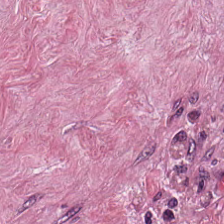H&E-stained tissue section. Formalin-fixed paraffin-embedded section — The predominant tissue is tumor-associated stroma.
